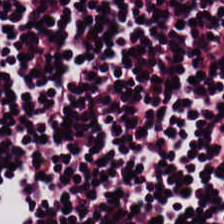H&E-stained tissue section. The predominant tissue is lymphocytes.
